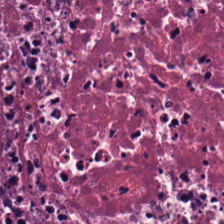Histology — necrotic debris.
